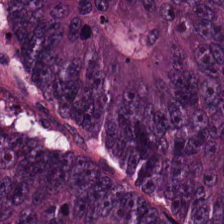H&E-stained section; the field shows malignant epithelium.
